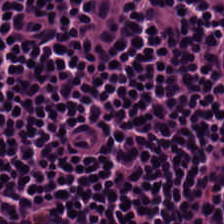H&E stain. WSI patch. FFPE.
Histology — lymphocyte aggregate.
